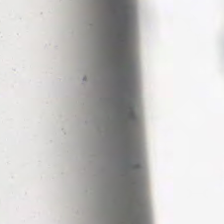Classification — background (no tissue).
